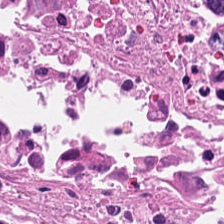The classification is debris.
